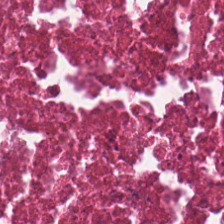Hematoxylin-and-eosin stained section.
The tissue is debris.
